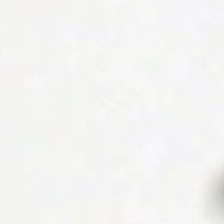H&E stain. 224×224 px tile. 20× equivalent magnification.
Q: What does this patch show?
A: The field shows background (no tissue).
